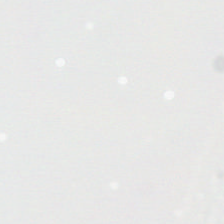Hematoxylin-and-eosin stained section — Background.
